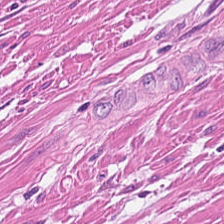H&E-stained tissue section · whole-slide-image patch — Showing smooth-muscle tissue.
